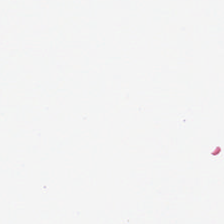Hematoxylin and eosin — The classification is empty background.
